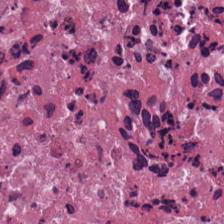H&E-stained tissue section. {"tissue_type": "debris"}
